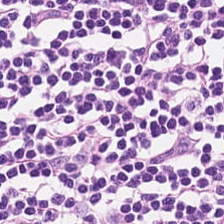Finding — lymphoid infiltrate.
